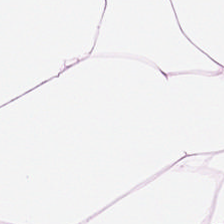H&E.
Classification = fat tissue.
